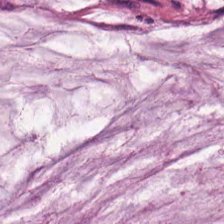H&E stain · 224×224 pixel tile — Showing mucus.
